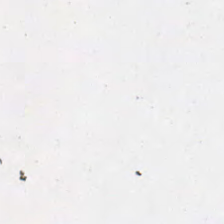This patch shows background (no tissue).
